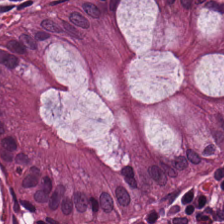H&E; brightfield; 224×224 pixel tile.
Tissue type = non-neoplastic colon mucosa.
